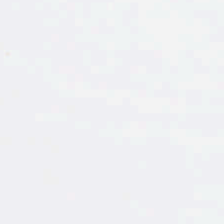Hematoxylin and eosin. 224×224 px tile. FFPE tissue section.
This field is background (no tissue).
